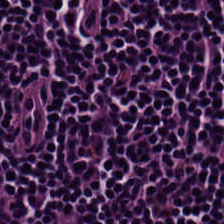H&E stain.
The predominant tissue is lymphocytes.
